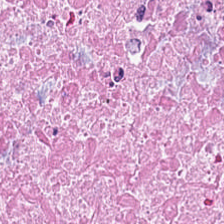H&E-stained section; the field shows debris.
